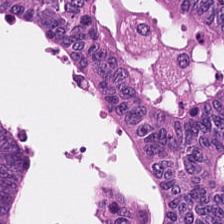224×224 px tile. H&E-stained tissue section — Q: What is shown here?
A: It is tumor epithelium.
